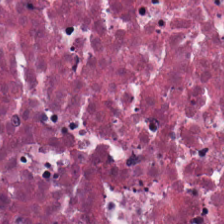Hematoxylin-and-eosin stained section · 20× equivalent magnification · 224×224 pixel tile — The predominant tissue is cellular debris.
